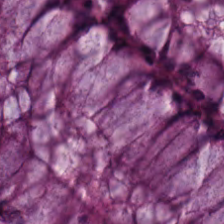20× equivalent magnification; H&E stain — This patch shows normal colonic mucosa.
